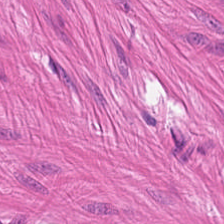H&E — Showing smooth-muscle tissue.
